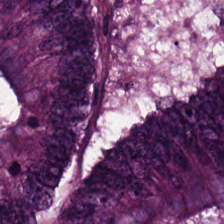H&E-stained tissue section · 0.5 microns per pixel. Colorectal adenocarcinoma.
